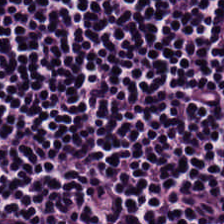Q: What is the predominant tissue type?
A: This is lymphocytic infiltrate.
